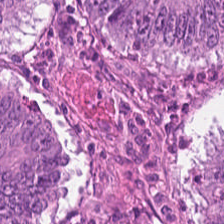Stain: H&E stain.
Acquisition: WSI patch.
Resolution: 0.5 µm/px.
Tissue class: tumor epithelium.
